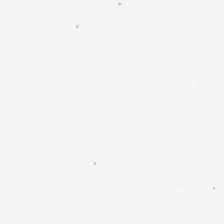224×224 px patch · H&E stain · formalin-fixed paraffin-embedded section.
Histology — background (no tissue).
